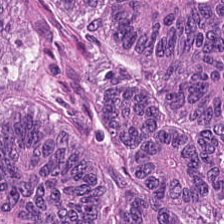Hematoxylin-and-eosin stained section. This patch shows adenocarcinoma.
